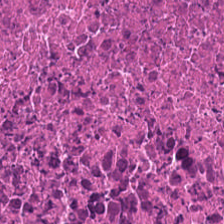H&E · 224×224 px tile — Finding — necrotic debris.
